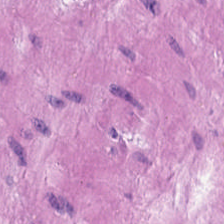H&E stain.
{"tissue_type": "smooth-muscle tissue"}
